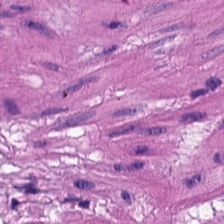Stain: H&E stain.
Tissue type: smooth-muscle tissue.
